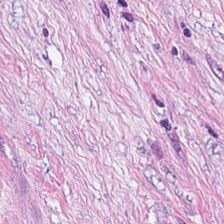Hematoxylin-and-eosin stained section · formalin-fixed paraffin-embedded section · 224×224 px patch.
This patch shows tumor-associated stroma.
